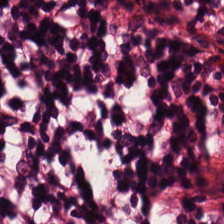Classification: lymphocytes.
